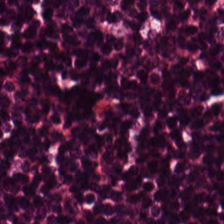Hematoxylin and eosin; 20× equivalent magnification; 224×224 pixel tile. This patch shows lymphocytic infiltrate.
